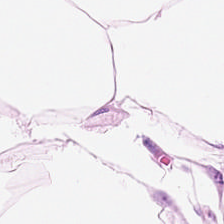FFPE. Whole-slide-image patch. Hematoxylin and eosin.
Classification: fat tissue.
